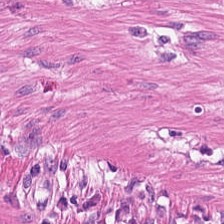Hematoxylin-and-eosin stained section · 224×224 pixel tile.
The predominant tissue is smooth muscle.
